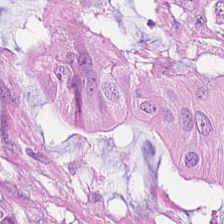224×224 pixel tile; hematoxylin-and-eosin stained section; FFPE tissue section — {"tissue_type": "malignant epithelium"}
